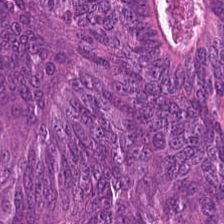H&E-stained tissue section; FFPE. Tissue type: tumor epithelium.
